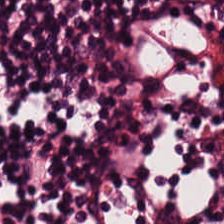224×224 pixel tile. H&E. Tissue class: lymphocyte aggregate.
